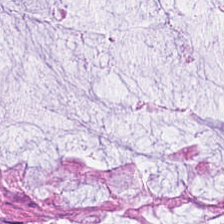FFPE; H&E stain.
Histology — normal colon mucosa.
